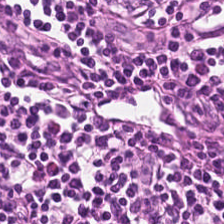The classification is lymphoid infiltrate.
